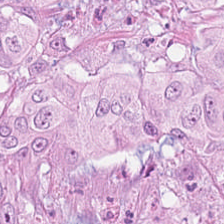H&E.
Predominant tissue — tumor epithelium.
